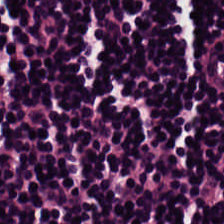Hematoxylin and eosin · 0.5 microns per pixel.
This patch shows lymphocytic infiltrate.
